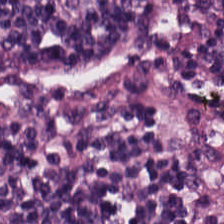H&E-stained tissue section — Showing lymphocyte aggregate.
